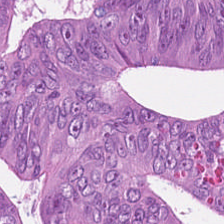H&E; 224×224 pixel tile — This patch shows tumor epithelium.
